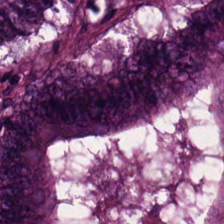The tissue type is tumor epithelium.
